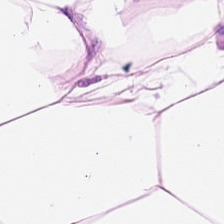H&E · 224×224 px patch · 20× equivalent magnification. Classification: adipocytes.
